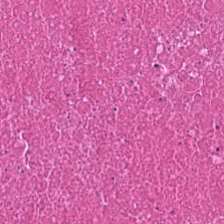Hematoxylin-and-eosin stained section.
Predominantly debris.
